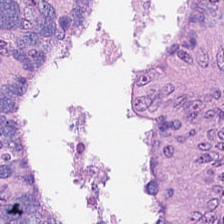H&E-stained tissue section. 224×224 px tile.
Colorectal adenocarcinoma epithelium.
